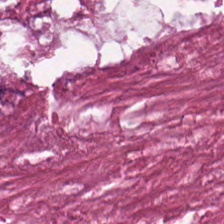H&E.
Predominantly cellular debris.
